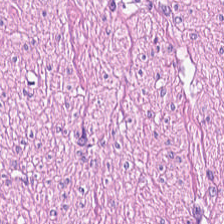Hematoxylin and eosin. 224×224 px tile. Showing smooth-muscle tissue.
